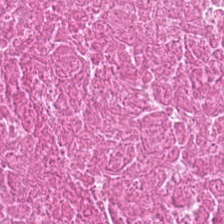H&E stain · brightfield. Predominant tissue = debris.
